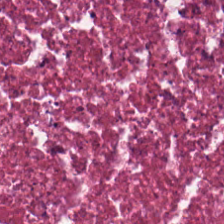H&E-stained tissue section.
The tissue class is necrotic debris.
